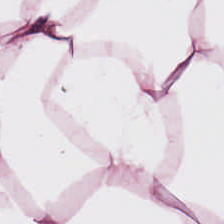Brightfield microscopy. Hematoxylin and eosin.
Impression → fat tissue.
